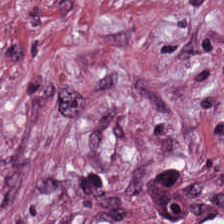Hematoxylin-and-eosin stained section — The predominant tissue is tumor-associated stroma.
